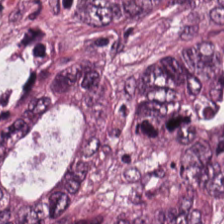20× equivalent magnification; H&E stain. Showing malignant epithelium.
